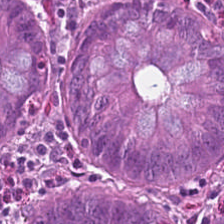0.5 µm/px · H&E.
This patch shows benign colonic mucosa.
